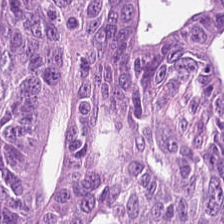H&E.
The predominant tissue is tumor epithelium.
